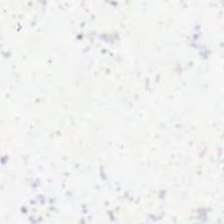Histology → no tissue.
